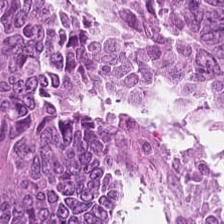Hematoxylin-and-eosin stained section.
Q: What is shown in this field?
A: It is adenocarcinoma.
